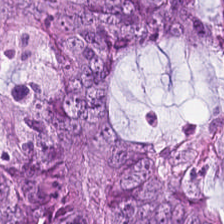Impression → colorectal adenocarcinoma.
